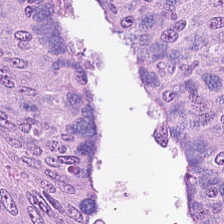Hematoxylin-and-eosin stained section — {"tissue_type": "tumor epithelium"}
